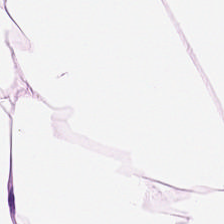Formalin-fixed paraffin-embedded section; hematoxylin and eosin. Tissue = fat tissue.
